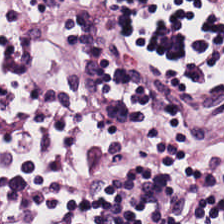H&E stain.
Histology — lymphoid infiltrate.
